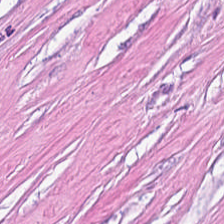224×224 px tile. WSI patch. Hematoxylin and eosin. Tissue class = tumor-associated stroma.
